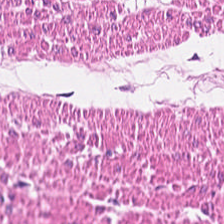H&E. This field is muscularis.
